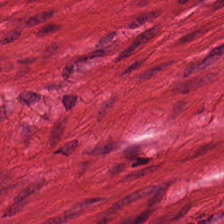Hematoxylin and eosin · brightfield microscopy.
This patch shows smooth muscle.
